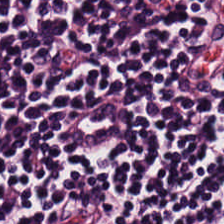H&E-stained tissue section · formalin-fixed paraffin-embedded section.
{"tissue_type": "lymphoid infiltrate"}
